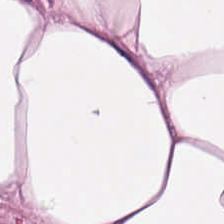H&E-stained tissue section. {"tissue_type": "adipose tissue"}
